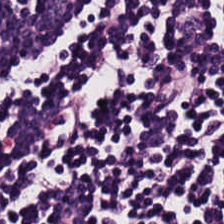H&E-stained tissue section. Q: What does this patch show?
A: It is lymphocytic infiltrate.
